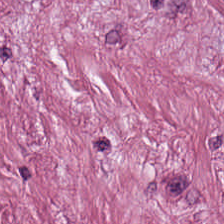H&E-stained tissue section.
Tissue type: tumor-associated stroma.
